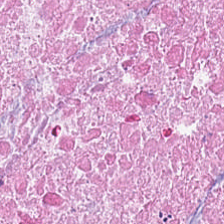Classification — cellular debris.
